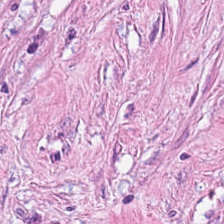FFPE tissue section; H&E-stained tissue section. Finding — cancer-associated stroma.
